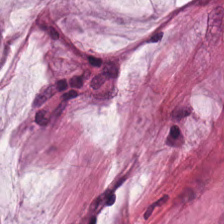WSI patch. H&E-stained tissue section. FFPE tissue section.
Q: What tissue type is shown here?
A: Extracellular mucin.
